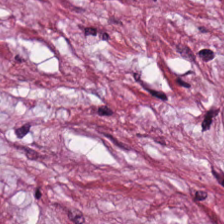Stain: H&E stain.
Tile size: 224×224 px patch.
Tissue: tumor stroma.
